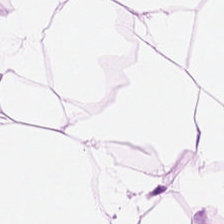Stain: hematoxylin and eosin.
Preparation: formalin-fixed paraffin-embedded section.
Predominant tissue: fat tissue.
